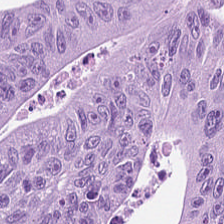Hematoxylin and eosin — Tissue type: colorectal adenocarcinoma epithelium.
